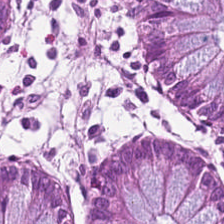Hematoxylin-and-eosin stained section — Histology → normal colon mucosa.
